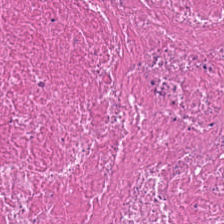FFPE tissue section; hematoxylin and eosin. Predominant tissue = cellular debris.
